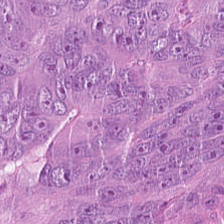Hematoxylin-and-eosin section: colorectal adenocarcinoma.
